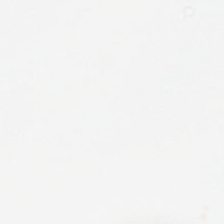Hematoxylin and eosin — Background (no tissue).
